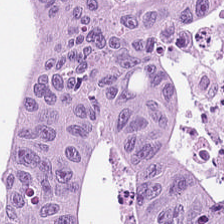0.5 µm per pixel; brightfield; H&E — The classification is malignant epithelium.
